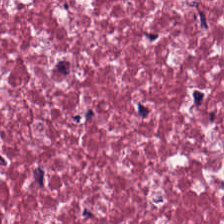Tissue class = tumor stroma.
